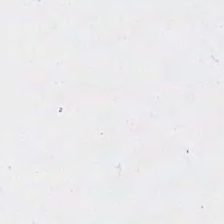H&E-stained tissue section. Empty field — empty background.
